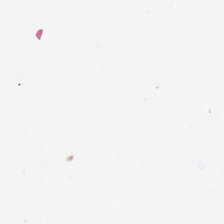20× equivalent magnification. H&E. Q: What is shown here?
A: It is no tissue.
